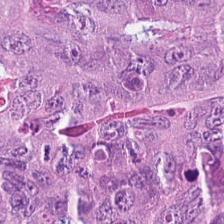Stain: H&E stain.
Tile size: 224×224 px tile.
Preparation: FFPE tissue section.
Tissue type: colorectal adenocarcinoma epithelium.
